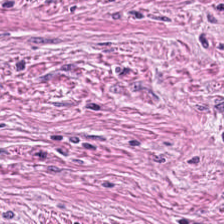H&E-stained section; the field shows cancer-associated stroma.
